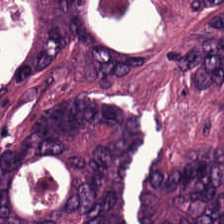Hematoxylin and eosin · 20× equivalent magnification.
Finding — colorectal adenocarcinoma.
